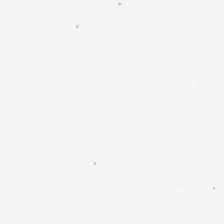Stain: H&E-stained tissue section.
Resolution: 20× equivalent magnification.
Field content: empty background.
